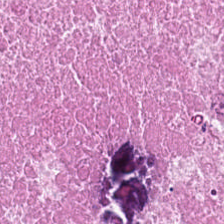Hematoxylin-and-eosin stained section — Predominantly cellular debris.
